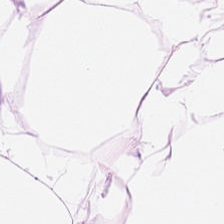224×224 pixel tile · H&E · 0.5 microns per pixel. Q: What type of tissue is this?
A: Adipose tissue.
